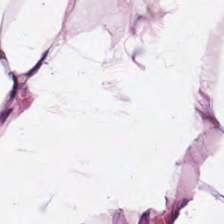H&E-stained tissue section; 0.5 µm/px. Fat tissue.
